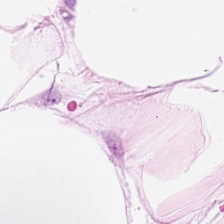Stain: H&E-stained tissue section.
Resolution: 0.5 microns per pixel.
Predominant tissue: adipocytes.
